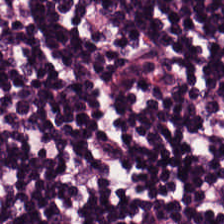H&E. Classification: lymphocyte aggregate.
